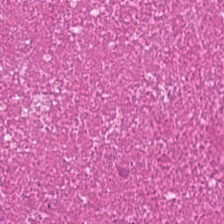H&E-stained tissue section · 0.5 µm/px. Predominantly cellular debris.
